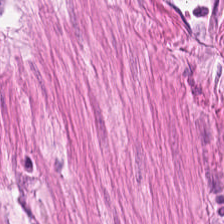Histology → smooth-muscle tissue.
